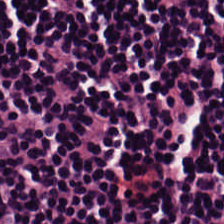Stain: hematoxylin and eosin.
Resolution: 0.5 microns per pixel.
Tile size: 224×224 px tile.
Tissue: lymphocyte aggregate.
